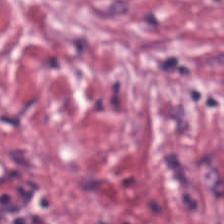0.5 µm per pixel; H&E — Tumor stroma.
